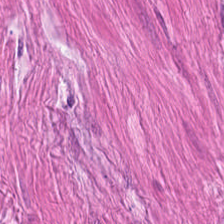FFPE tissue section; H&E-stained tissue section; 20× equivalent magnification — Finding → muscularis.
